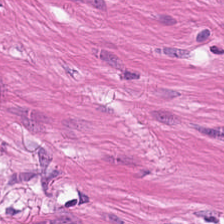H&E-stained tissue section — Q: What tissue type is shown here?
A: The field shows muscularis.
